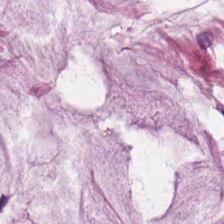H&E-stained tissue section. Tissue class = mucin.
